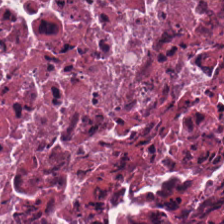H&E-stained tissue section; 224×224 pixel tile; FFPE — Finding → necrotic debris.
